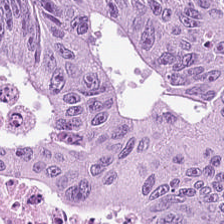The predominant tissue is malignant epithelium.
